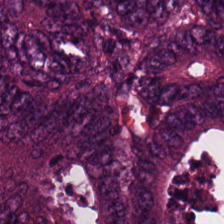Classification — colorectal adenocarcinoma epithelium.
